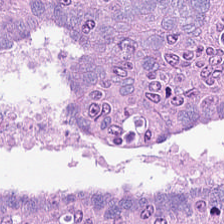Hematoxylin-and-eosin stained section.
Impression → adenocarcinoma.
